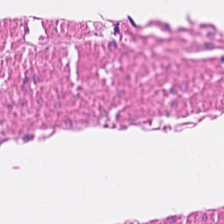H&E.
The predominant tissue is smooth muscle.
